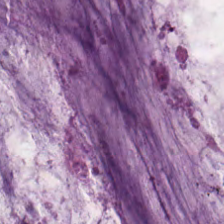H&E — Predominant tissue — mucus.
